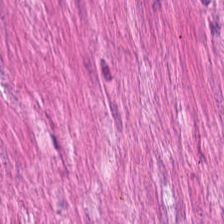Q: What does this patch show?
A: It is smooth muscle.
